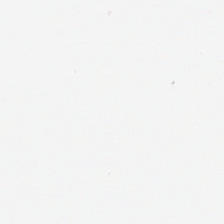Q: What does this patch show?
A: It is empty background.
